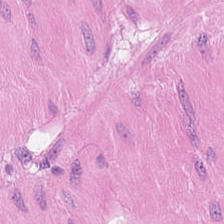Stain: H&E-stained tissue section.
Tissue class: muscularis.
